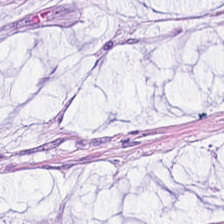Q: Classify this patch.
A: This is mucus.
